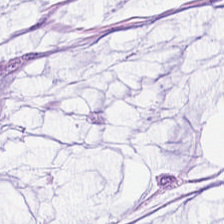{"tissue_type": "mucus"}
